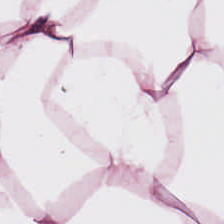WSI patch; H&E-stained tissue section.
Histology → adipose tissue.
